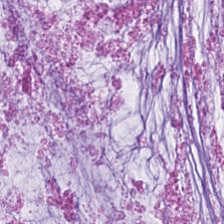WSI patch · formalin-fixed paraffin-embedded section · hematoxylin and eosin.
Q: Classify this patch.
A: Mucus.
